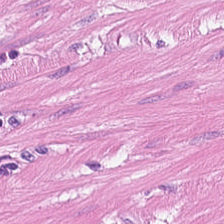FFPE. Hematoxylin and eosin. Whole-slide-image patch. Q: What is the predominant tissue type?
A: This is smooth-muscle tissue.
